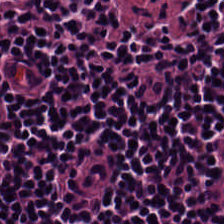H&E. 224×224 pixel tile. The tissue here is lymphocytes.
